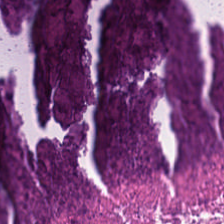Hematoxylin and eosin.
Q: What is the predominant tissue type?
A: It is debris.
